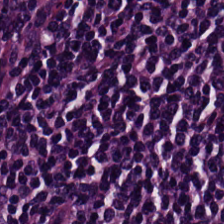H&E-stained section; the field shows lymphocyte aggregate.
